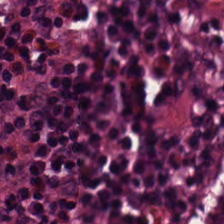H&E stain. This field is non-neoplastic colon mucosa.
